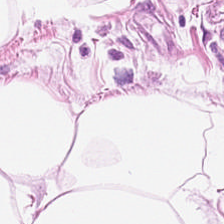Stain: H&E-stained tissue section.
Preparation: FFPE tissue section.
Acquisition: WSI patch.
Tissue type: adipocytes.
